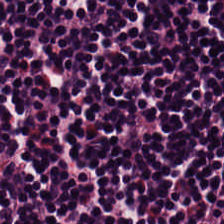Hematoxylin and eosin.
Impression — lymphocyte aggregate.
